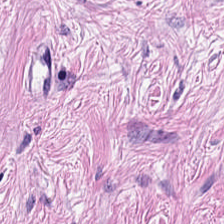Whole-slide-image patch. H&E stain. 224×224 pixel tile — The tissue is tumor-associated stroma.
